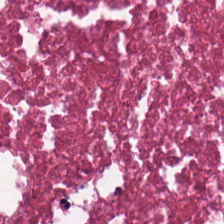Stain: H&E.
Tissue class: necrotic debris.
